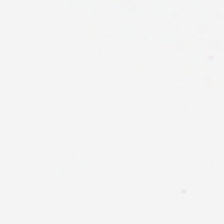Hematoxylin-and-eosin stained section. 224×224 pixel tile. Formalin-fixed paraffin-embedded section — Empty field — empty background.
